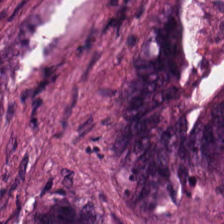Colorectal adenocarcinoma.
